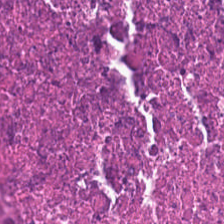H&E stain. 0.5 µm per pixel. 224×224 px patch — Tissue type — cellular debris.
